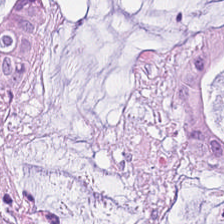FFPE; hematoxylin-and-eosin stained section; brightfield microscopy. The tissue class is mucus.
